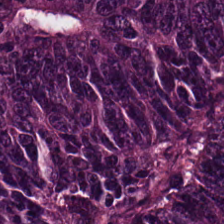H&E-stained tissue section — Tissue = tumor epithelium.
